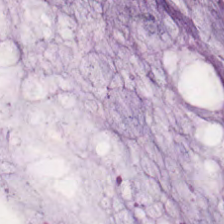Stain: hematoxylin and eosin.
Classification: mucus.
